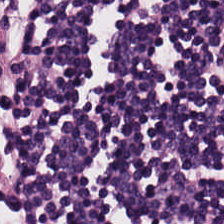H&E stain; 0.5 µm/px. {"tissue_type": "lymphocytes"}
